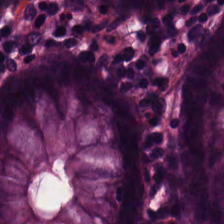224×224 px tile; H&E-stained tissue section — This patch shows non-neoplastic colon mucosa.
